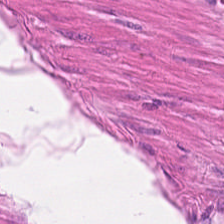H&E.
Smooth-muscle tissue.
